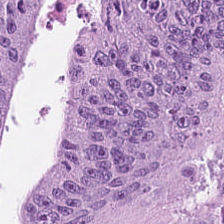H&E. Brightfield microscopy. Predominantly malignant epithelium.
